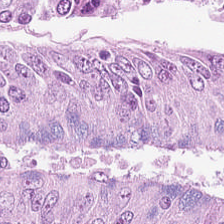The predominant tissue is colorectal adenocarcinoma epithelium.
